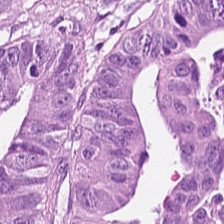Finding — malignant epithelium.
